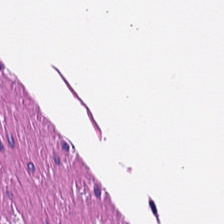0.5 µm/px; hematoxylin-and-eosin stained section. Histology — smooth-muscle tissue.
